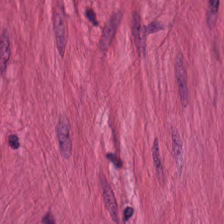FFPE tissue section; H&E stain; brightfield — The predominant tissue is smooth muscle.
